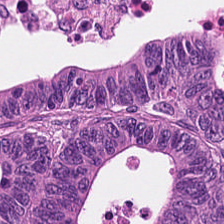H&E stain. {"tissue_type": "adenocarcinoma"}
